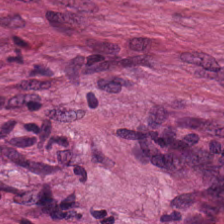Classification — tumor-associated stroma.
